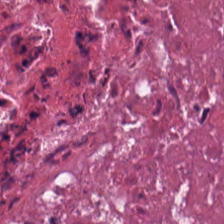FFPE. H&E. The tissue type is debris.
